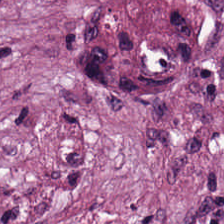Hematoxylin and eosin · 0.5 microns per pixel.
Showing cancer-associated stroma.
